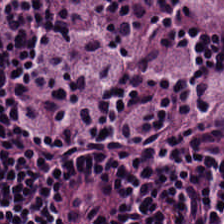0.5 µm per pixel. Hematoxylin-and-eosin stained section — Tissue: lymphoid infiltrate.
